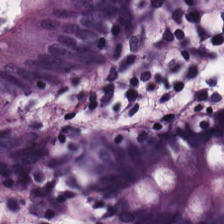Predominant tissue = benign colonic mucosa.
